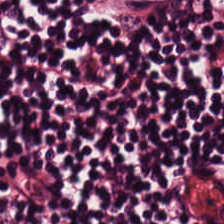FFPE tissue section; H&E-stained tissue section — Q: What does this patch show?
A: This is lymphocytic infiltrate.
